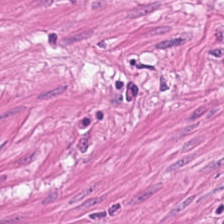Hematoxylin-and-eosin stained section — Classification — muscularis.
